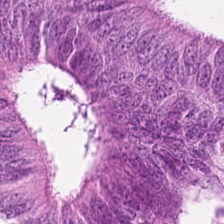Hematoxylin and eosin.
This patch shows malignant epithelium.
